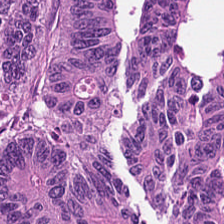Q: What tissue is shown?
A: It is malignant epithelium.
